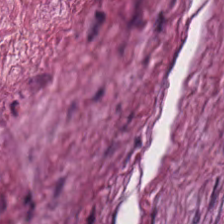Stain: hematoxylin and eosin.
Predominant tissue: tumor stroma.
